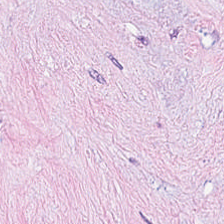0.5 microns per pixel · H&E-stained tissue section.
Histology — tumor-associated stroma.
